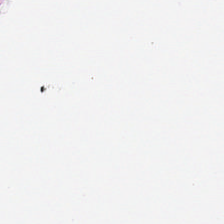Background — no tissue in this field.
